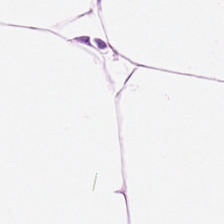Hematoxylin-and-eosin stained section.
This patch shows adipose tissue.
